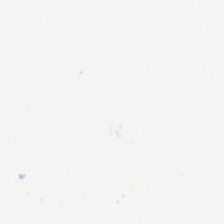Hematoxylin-and-eosin stained section — No tissue.
